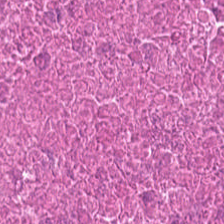Hematoxylin-and-eosin stained section. The tissue here is debris.
